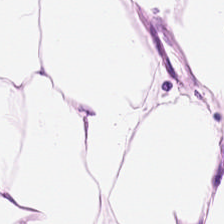The predominant tissue is adipocytes.
